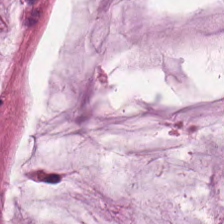H&E-stained tissue section — Showing extracellular mucin.
